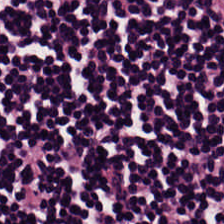Whole-slide-image patch; H&E-stained tissue section — Q: What is shown here?
A: Lymphoid infiltrate.
